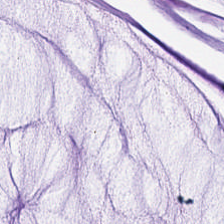Predominant tissue: extracellular mucin.
